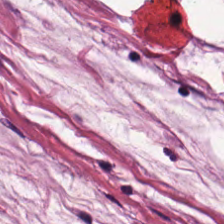Tissue = mucus.
